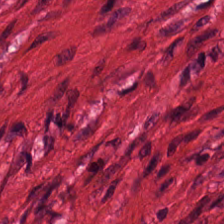FFPE. WSI patch. H&E-stained tissue section — Predominant tissue — muscularis.
